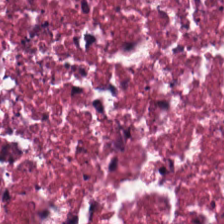0.5 µm per pixel; hematoxylin and eosin — Tissue class: cellular debris.
